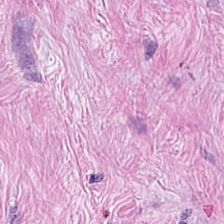H&E-stained tissue section; 224×224 px patch. The tissue here is tumor-associated stroma.
